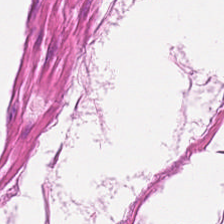Hematoxylin and eosin; 20× equivalent magnification; FFPE tissue section. Histology → muscularis.
